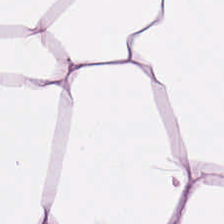H&E stain. The predominant tissue is adipocytes.
